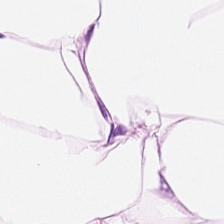H&E — Histology — fat tissue.
